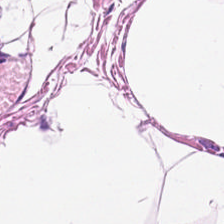Q: Identify the tissue.
A: It is fat tissue.
